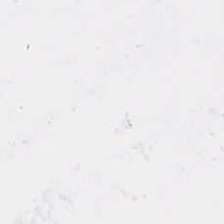H&E — Background — no tissue in this field.
